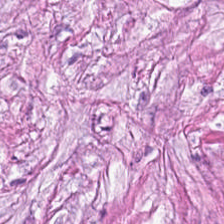Hematoxylin-and-eosin stained section — {"tissue_type": "desmoplastic stroma"}
